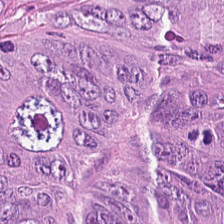Tissue: colorectal adenocarcinoma epithelium.
